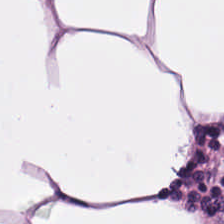224×224 pixel tile. H&E — Adipose tissue.
